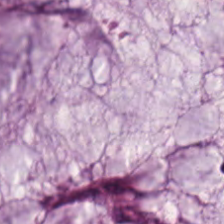FFPE · WSI patch · hematoxylin-and-eosin stained section — The predominant tissue is mucin.
